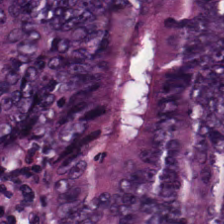Hematoxylin-and-eosin stained section.
Tissue type: tumor epithelium.
